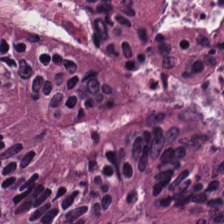H&E-stained tissue section · FFPE · brightfield microscopy — Q: What is shown in this field?
A: It is adenocarcinoma.
